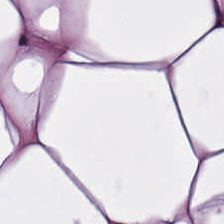{"tissue_type": "adipose tissue"}
